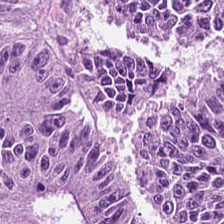Stain: H&E stain.
Tissue type: tumor epithelium.
